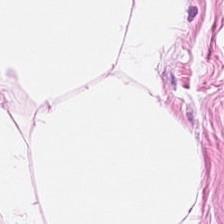Hematoxylin and eosin. 0.5 microns per pixel.
Showing adipose tissue.
